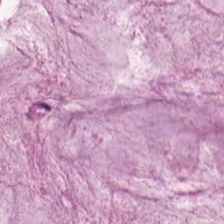H&E — This patch shows extracellular mucin.
